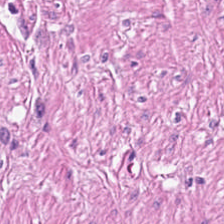Smooth-muscle tissue.
